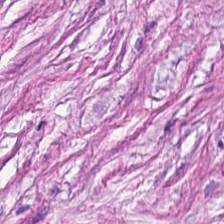H&E-stained tissue section · 224×224 px patch · WSI patch — Tumor-associated stroma.
